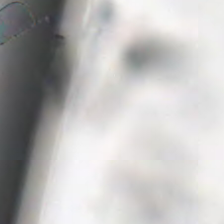Hematoxylin and eosin · brightfield — No tissue.
